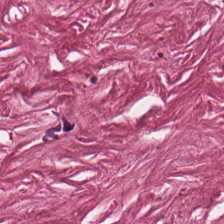Hematoxylin and eosin; 224×224 px patch.
Predominantly cancer-associated stroma.
